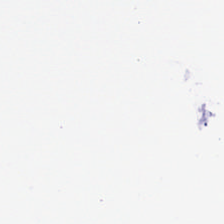Stain: H&E-stained tissue section.
Classification: no tissue.
